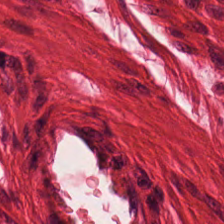Q: What does this patch show?
A: This is smooth muscle.
